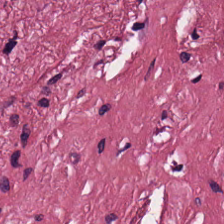Stain: H&E-stained tissue section.
Tissue: tumor-associated stroma.
